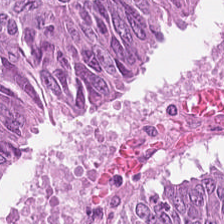0.5 µm per pixel. Hematoxylin and eosin — Malignant epithelium.
